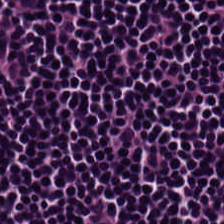FFPE. 224×224 px patch. H&E-stained tissue section. The tissue class is lymphocyte aggregate.
